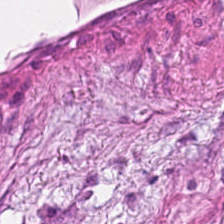Q: What does this patch show?
A: This is desmoplastic stroma.
